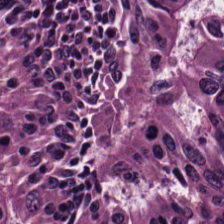H&E-stained tissue section — Q: Classify this patch.
A: This is adenocarcinoma.
